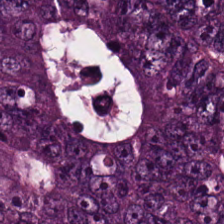Stain: hematoxylin and eosin.
Classification: adenocarcinoma.
